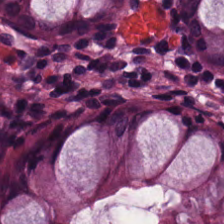H&E-stained tissue section. Benign colonic mucosa.
